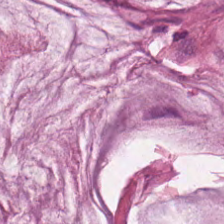H&E. Predominant tissue — extracellular mucin.
